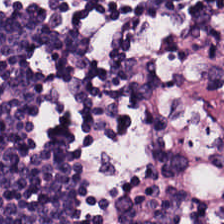H&E. {"tissue_type": "lymphocytic infiltrate"}
